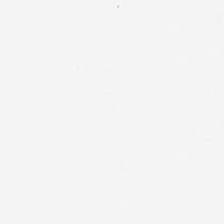Background — no tissue in this field.
